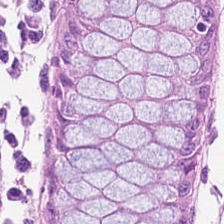H&E stain — Impression → non-neoplastic colon mucosa.
